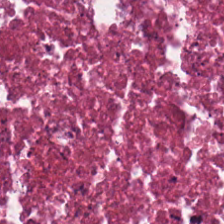H&E stain. FFPE.
Q: What tissue type is shown here?
A: Necrotic debris.
